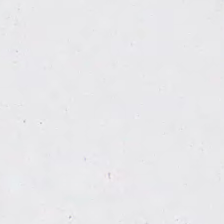WSI patch · 224×224 px patch · hematoxylin-and-eosin stained section. Q: Classify this patch.
A: This is no tissue.
